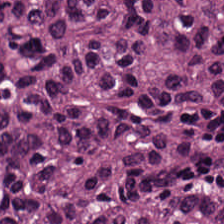H&E. Q: What type of tissue is this?
A: This is colorectal adenocarcinoma.
